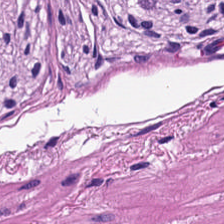Hematoxylin-and-eosin section: muscularis.
